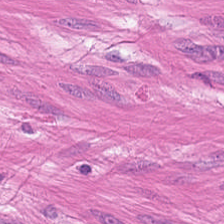Stain: H&E.
Tissue class: smooth-muscle tissue.
